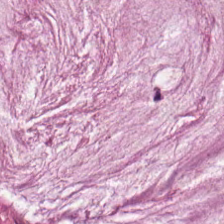Hematoxylin-and-eosin stained section — Impression — mucin.
